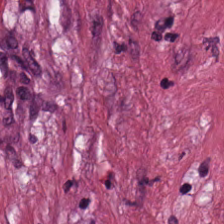The tissue class is desmoplastic stroma.
